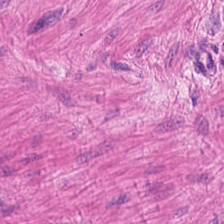H&E stain. Classification: smooth-muscle tissue.
